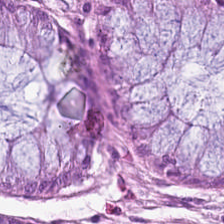Whole-slide-image patch; hematoxylin-and-eosin stained section — {"tissue_type": "normal colon mucosa"}
